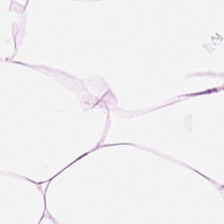Tissue = adipose tissue.
